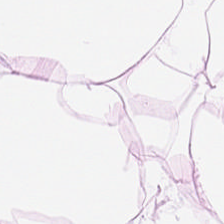Whole-slide-image patch · H&E stain — The tissue here is adipose.
